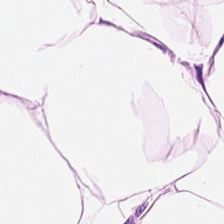Hematoxylin and eosin — Impression → adipocytes.
